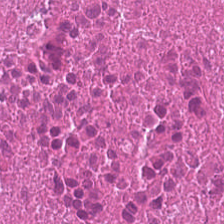H&E; formalin-fixed paraffin-embedded section. This patch shows cellular debris.
